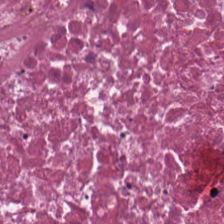H&E.
Finding → necrotic debris.
